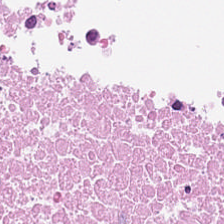Hematoxylin and eosin. This patch shows debris.
